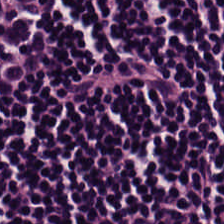H&E. 224×224 pixel tile — Lymphoid infiltrate.
